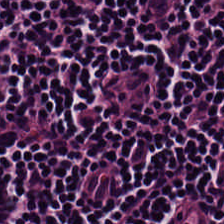Hematoxylin-and-eosin section: lymphocytic infiltrate.
